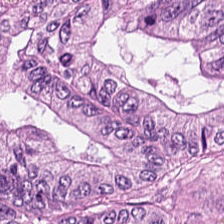Hematoxylin and eosin.
Showing colorectal adenocarcinoma epithelium.
